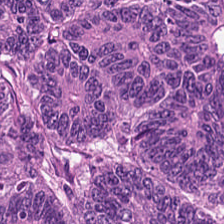Hematoxylin and eosin — The predominant tissue is colorectal adenocarcinoma epithelium.
